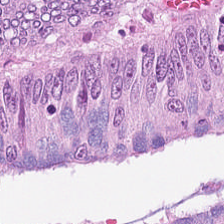H&E stain; FFPE tissue section.
Tissue class = colorectal adenocarcinoma epithelium.
